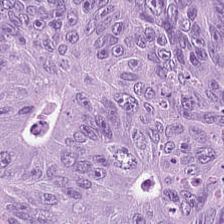0.5 µm per pixel; hematoxylin-and-eosin stained section. Q: What type of tissue is this?
A: It is adenocarcinoma.
